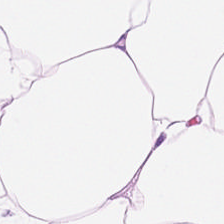H&E · 0.5 µm/px · 224×224 px patch.
Q: What type of tissue is this?
A: It is adipose.
